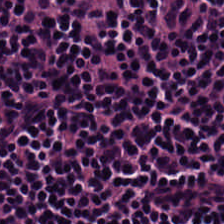The tissue here is lymphocytes.
